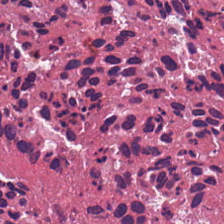Hematoxylin-and-eosin stained section · 0.5 microns per pixel. Impression → cellular debris.
